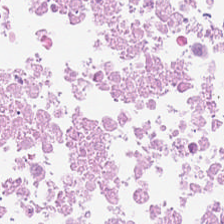FFPE tissue section; H&E — Tissue: necrotic debris.
